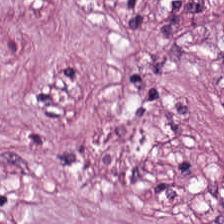Hematoxylin and eosin.
Q: Classify this patch.
A: This is cancer-associated stroma.
